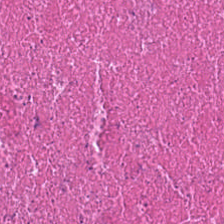H&E — Q: What is shown here?
A: Debris.
